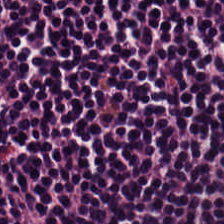H&E; FFPE tissue section.
Tissue class: lymphoid infiltrate.
